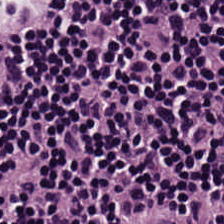Stain: H&E.
Classification: lymphocytic infiltrate.
